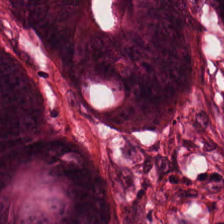Hematoxylin-and-eosin stained section. 20× equivalent magnification — Q: Classify this patch.
A: It is colorectal adenocarcinoma epithelium.
